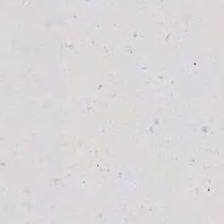Q: What is shown in this field?
A: This is background (no tissue).
